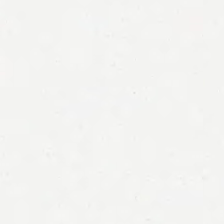H&E stain.
Finding — no tissue.
